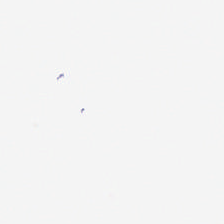Hematoxylin-and-eosin stained section — No tissue present; background only.
